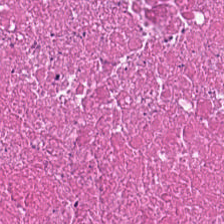0.5 microns per pixel; H&E.
This field is cellular debris.
